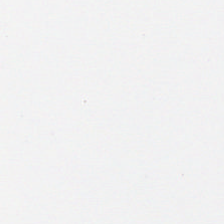No tissue present; background only.
